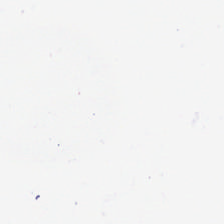H&E — Finding — no tissue.
